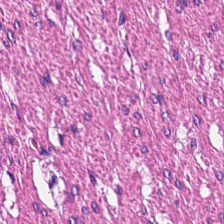FFPE. H&E stain. Muscularis.
